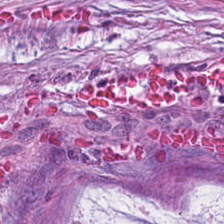H&E. Showing extracellular mucin.
